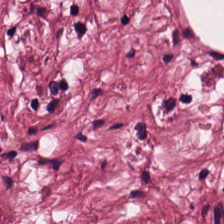WSI patch · H&E · FFPE tissue section.
Q: What does this patch show?
A: The field shows cancer-associated stroma.
